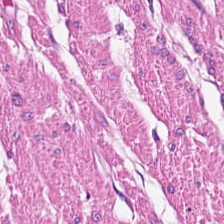H&E patch showing smooth-muscle tissue.
